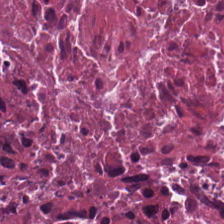Impression — necrotic debris.
